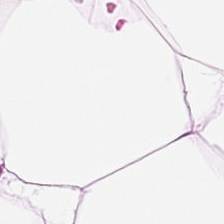Formalin-fixed paraffin-embedded section · 224×224 px tile · H&E. Classification: adipose.
